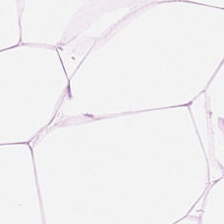H&E-stained tissue section.
Q: What is shown here?
A: The field shows adipose.
